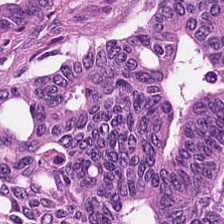Classification — tumor epithelium.
